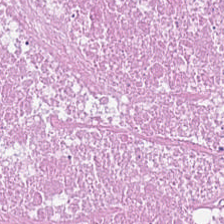H&E.
{"tissue_type": "debris"}
